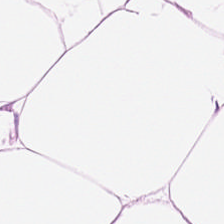Tissue class — fat tissue.
